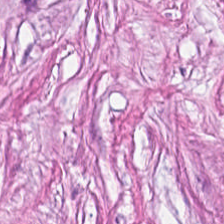The tissue is cancer-associated stroma.
